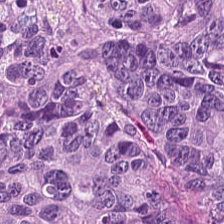H&E-stained tissue section · 224×224 px tile · FFPE tissue section. Tumor epithelium.
